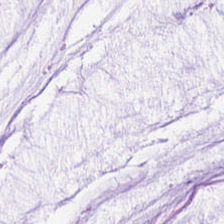H&E-stained tissue section — Q: What is shown here?
A: This is mucus.
